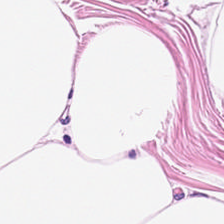Hematoxylin-and-eosin stained section. Classification: adipose.
